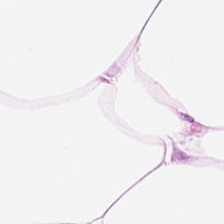0.5 microns per pixel. H&E-stained tissue section. FFPE — Showing fat tissue.
